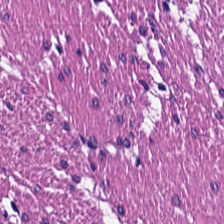20× equivalent magnification; hematoxylin and eosin; FFPE.
{"tissue_type": "muscularis"}
